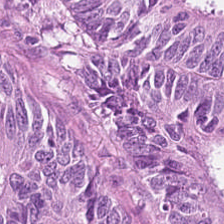Hematoxylin and eosin. Predominantly tumor epithelium.
